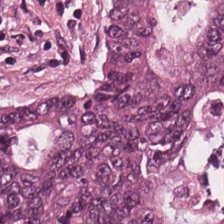Tissue — colorectal adenocarcinoma epithelium.
